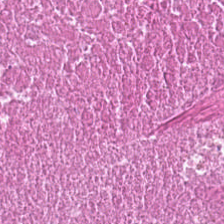H&E-stained tissue section — Tissue type: cellular debris.
